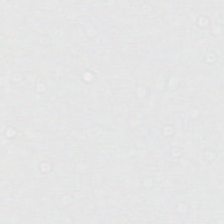H&E-stained tissue section.
The classification is background.
